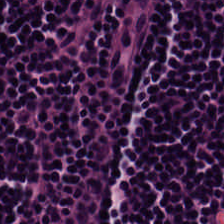224×224 pixel tile. H&E-stained tissue section. This patch shows lymphoid infiltrate.
